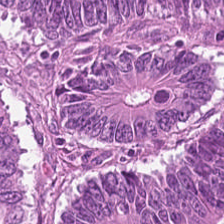H&E patch showing colorectal adenocarcinoma epithelium.
